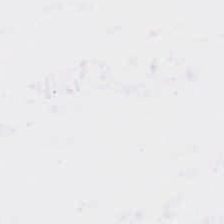Field content = background.
